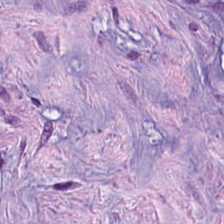H&E stain — The predominant tissue is desmoplastic stroma.
